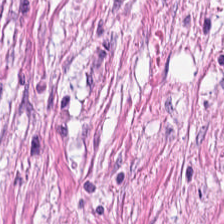0.5 µm per pixel. H&E stain.
Predominantly desmoplastic stroma.
